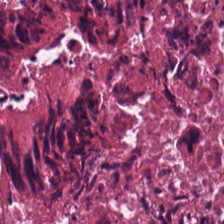Stain: H&E.
Classification: debris.
